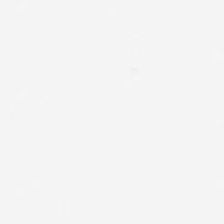Q: What is shown here?
A: The field shows background (no tissue).
